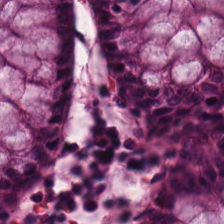20× equivalent magnification · hematoxylin and eosin. Finding — non-neoplastic colon mucosa.
